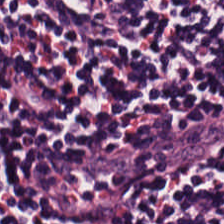H&E · FFPE · 0.5 µm per pixel.
Q: What is shown in this field?
A: This is lymphocytes.
